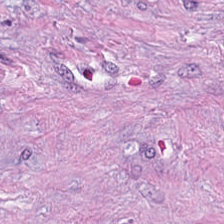Hematoxylin and eosin.
The predominant tissue is tumor stroma.
